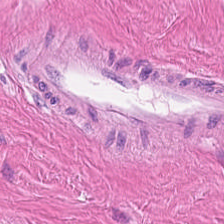Predominant tissue = smooth muscle.
